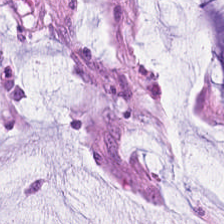H&E-stained tissue section. Mucin.
